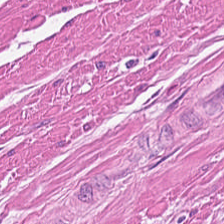H&E-stained tissue section. The tissue here is muscularis.
